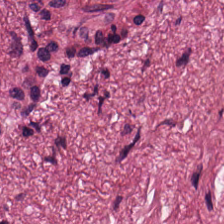224×224 pixel tile; hematoxylin and eosin — This patch shows tumor-associated stroma.
